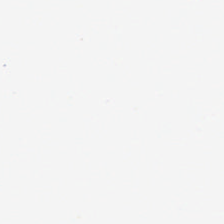Stain: hematoxylin and eosin.
Acquisition: whole-slide-image patch.
Classification: no tissue.
